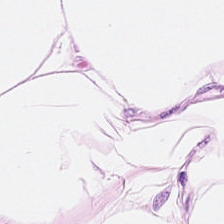Impression — adipose.
